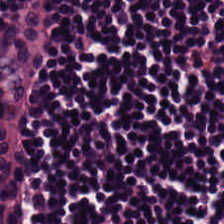Hematoxylin-and-eosin stained section.
Finding → lymphocytic infiltrate.
